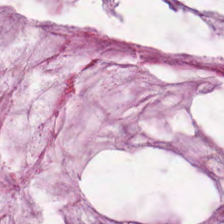H&E — Showing mucus.
